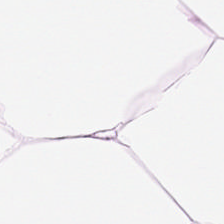Hematoxylin-and-eosin stained section. Showing adipose.
